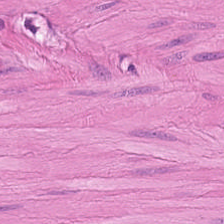H&E stain — Q: What type of tissue is this?
A: Muscularis.
